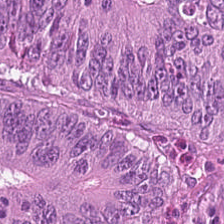Hematoxylin and eosin.
Finding — adenocarcinoma.
